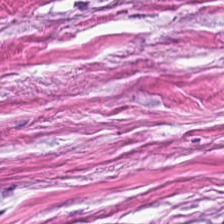H&E stain — Predominant tissue: tumor-associated stroma.
